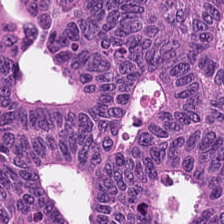H&E. The predominant tissue is colorectal adenocarcinoma.
